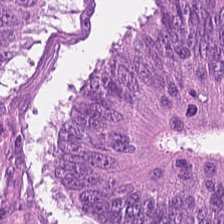{"tissue_type": "tumor epithelium"}
